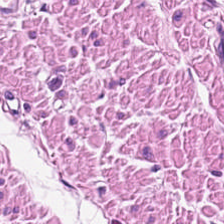224×224 pixel tile · hematoxylin and eosin — Predominantly muscularis.
